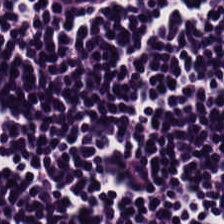Hematoxylin and eosin.
The tissue here is lymphocytic infiltrate.
